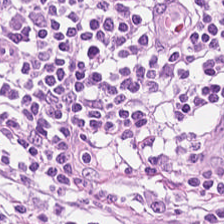Formalin-fixed paraffin-embedded section. H&E-stained tissue section.
The predominant tissue is lymphoid infiltrate.
